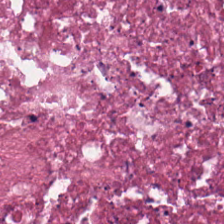Hematoxylin and eosin; 0.5 µm/px — Q: What is shown here?
A: This is necrotic debris.
